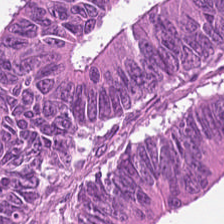Brightfield · 0.5 µm/px · hematoxylin-and-eosin stained section — Finding — colorectal adenocarcinoma epithelium.
